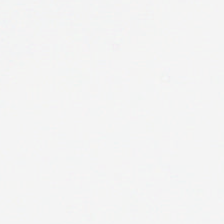20× equivalent magnification · hematoxylin-and-eosin stained section · 224×224 pixel tile. This field is background (no tissue).
